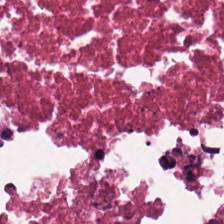Hematoxylin-and-eosin stained section · 0.5 µm/px · brightfield. Tissue: cellular debris.
